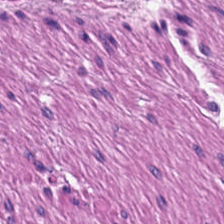Stain: hematoxylin and eosin.
Tissue: smooth-muscle tissue.
